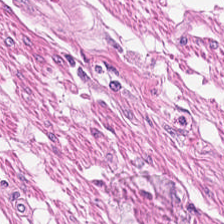H&E stain.
The classification is muscularis.
